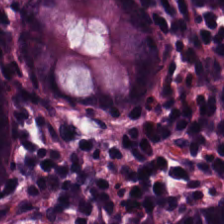Hematoxylin and eosin. This field is benign colonic mucosa.
